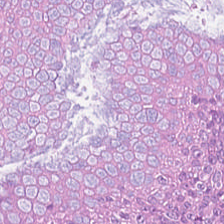Whole-slide-image patch; H&E-stained tissue section — Tissue: colorectal adenocarcinoma.
